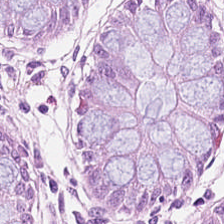Predominant tissue = normal colonic mucosa.
